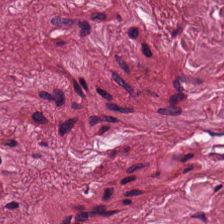0.5 microns per pixel; H&E-stained tissue section. Q: What does this patch show?
A: It is tumor-associated stroma.
